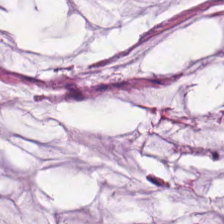H&E. Q: What tissue type is shown here?
A: The field shows mucus.
